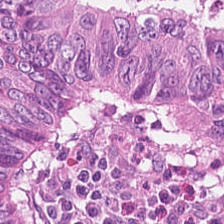Q: Identify the tissue.
A: Colorectal adenocarcinoma epithelium.
